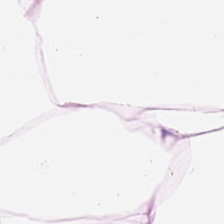H&E-stained tissue section. Predominantly adipocytes.
